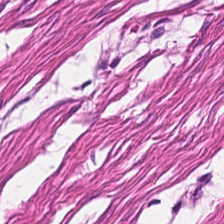Stain: H&E stain.
Tile size: 224×224 px tile.
Predominant tissue: smooth muscle.
